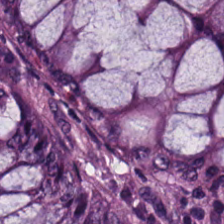Stain: H&E.
Tile size: 224×224 px patch.
Classification: non-neoplastic colon mucosa.
